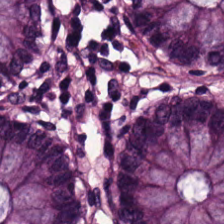Hematoxylin and eosin — The tissue class is normal colonic mucosa.
